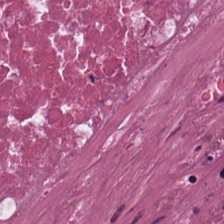Hematoxylin-and-eosin stained section. Tissue: cellular debris.
